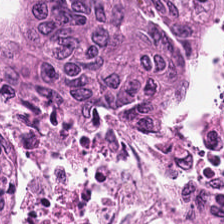Brightfield; hematoxylin-and-eosin stained section — Adenocarcinoma.
